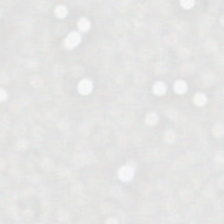H&E — This field is background (no tissue).
